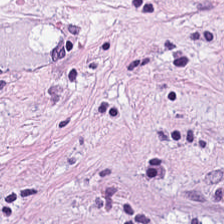Q: What is the predominant tissue type?
A: Desmoplastic stroma.
